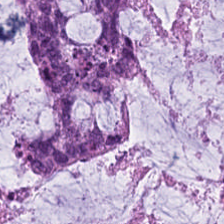H&E-stained tissue section. Tissue type — mucus.
